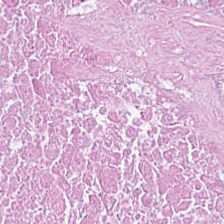Hematoxylin-and-eosin stained section.
This field is debris.
